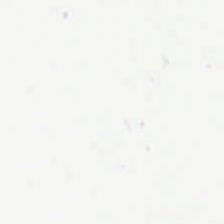H&E · whole-slide-image patch · 224×224 px patch — Classification: background.
